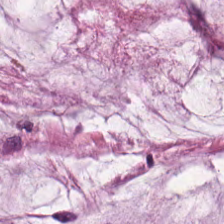H&E stain.
The predominant tissue is mucus.
